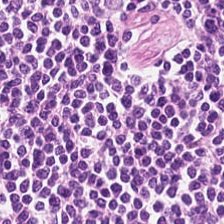Tissue: lymphoid infiltrate.
